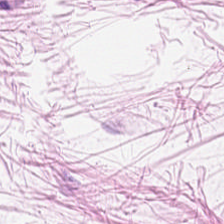WSI patch; H&E.
Tissue class: adipose.
